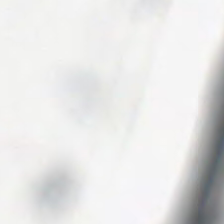Stain: hematoxylin-and-eosin stained section.
Field content: background.
